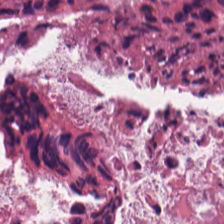Hematoxylin-and-eosin stained section. The predominant tissue is necrotic debris.
